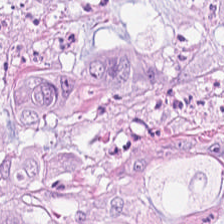Brightfield · H&E — {"tissue_type": "colorectal adenocarcinoma"}
